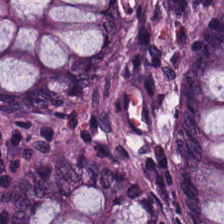H&E-stained tissue section — Q: What does this patch show?
A: The field shows normal colon mucosa.
